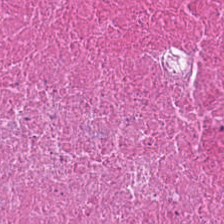H&E · FFPE. Tissue type — debris.
